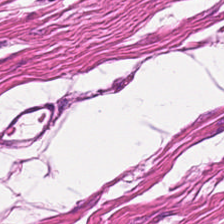WSI patch · H&E stain.
Smooth-muscle tissue.
